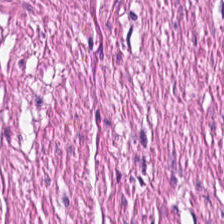This patch shows smooth-muscle tissue.
